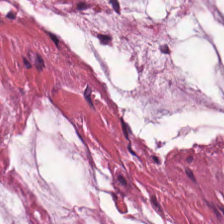H&E-stained tissue section. The tissue here is mucin.
